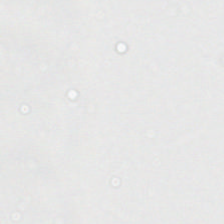H&E stain. Q: What does this patch show?
A: The field shows empty background.
